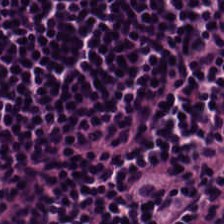Whole-slide-image patch · hematoxylin and eosin — Q: What does this patch show?
A: It is lymphocyte aggregate.
